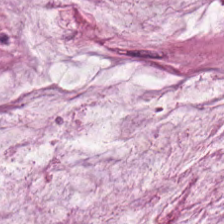H&E-stained tissue section showing mucin.
